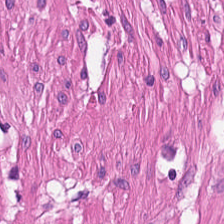Hematoxylin-and-eosin stained section — Impression → smooth muscle.
